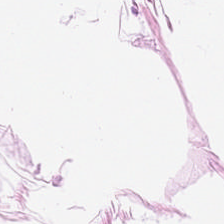Impression — adipocytes.
